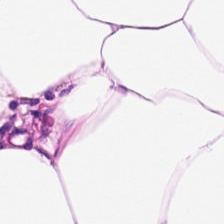Hematoxylin and eosin · 0.5 microns per pixel · brightfield. Showing fat tissue.
